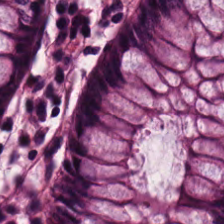FFPE tissue section; H&E stain — Showing normal colonic mucosa.
